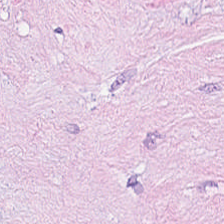224×224 px tile · H&E. Q: Classify this patch.
A: It is tumor stroma.
